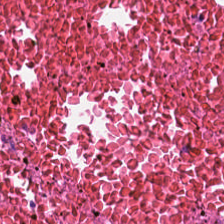H&E stain · 0.5 µm/px.
{"tissue_type": "necrotic debris"}
